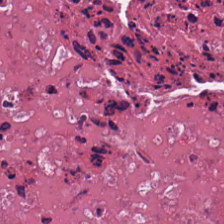Hematoxylin-and-eosin stained section. Histology → cellular debris.
